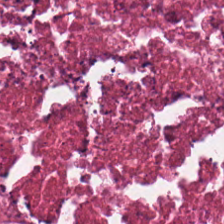Hematoxylin and eosin; whole-slide-image patch — {"tissue_type": "necrotic debris"}
